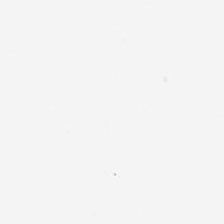Stain: hematoxylin and eosin.
Content: empty background.
